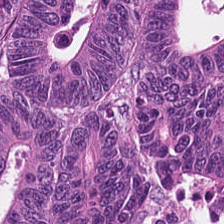Hematoxylin and eosin; 224×224 px patch.
Predominantly tumor epithelium.
